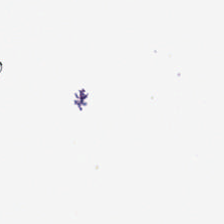Q: What is shown in this field?
A: It is background (no tissue).
